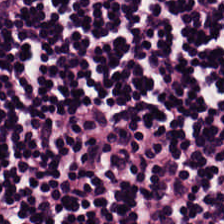H&E — The predominant tissue is lymphocytes.
